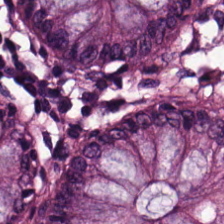Hematoxylin-and-eosin stained section. 0.5 microns per pixel. Impression → normal colonic mucosa.
